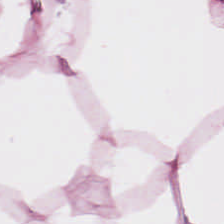H&E stain.
The tissue type is fat tissue.
